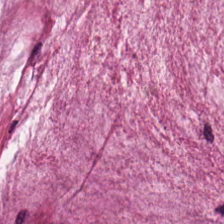Hematoxylin-and-eosin stained section; WSI patch; 224×224 px tile. {"tissue_type": "mucin"}
